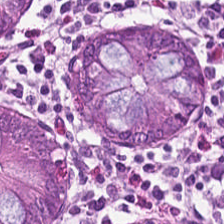H&E — Impression → normal colon mucosa.
